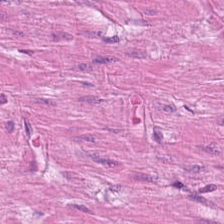This field is muscularis.
